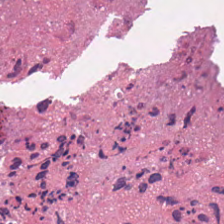224×224 px patch. H&E-stained tissue section.
Finding — debris.
